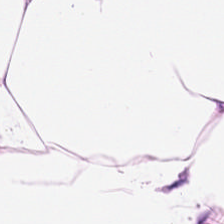Hematoxylin-and-eosin stained section. Showing adipocytes.
